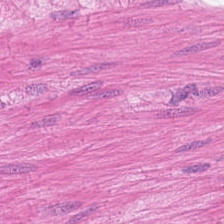Hematoxylin and eosin · 20× equivalent magnification.
The predominant tissue is muscularis.
